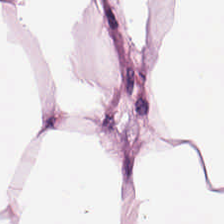H&E-stained tissue section. Predominantly adipose tissue.
